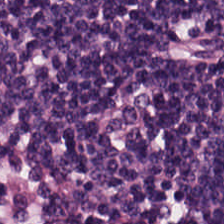Hematoxylin-and-eosin stained section · 0.5 µm/px. Predominantly lymphocytes.
